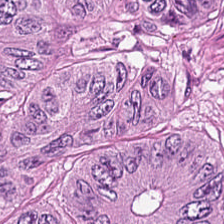FFPE tissue section. H&E-stained tissue section — The tissue here is colorectal adenocarcinoma epithelium.
